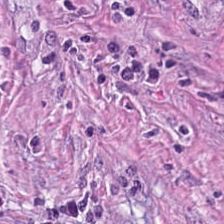The tissue class is desmoplastic stroma.
